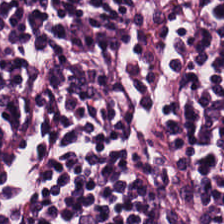Stain: H&E.
Tile size: 224×224 px tile.
Predominant tissue: lymphoid infiltrate.
